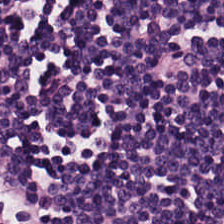Hematoxylin-and-eosin stained section.
Classification = lymphoid infiltrate.
